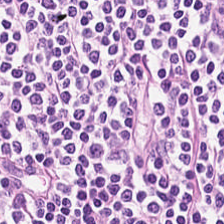Q: What tissue is shown?
A: It is lymphocytes.
